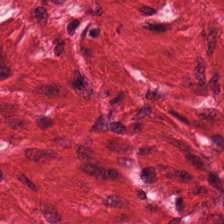Hematoxylin and eosin.
Tissue type: smooth muscle.
